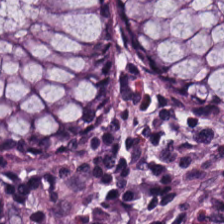Whole-slide-image patch · 0.5 microns per pixel · hematoxylin-and-eosin stained section. Showing non-neoplastic colon mucosa.
